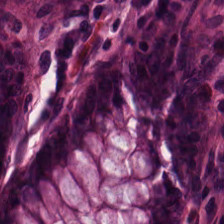H&E-stained tissue section; 0.5 µm/px. Tissue: non-neoplastic colon mucosa.
